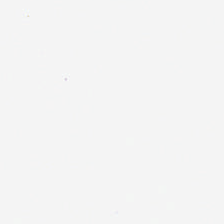This field is background (no tissue).
